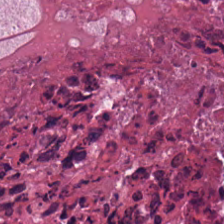Tissue class: debris.
